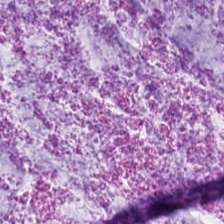H&E-stained section; the field shows mucin.
